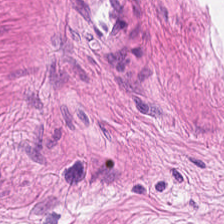H&E-stained tissue section · 0.5 µm/px — Smooth muscle.
